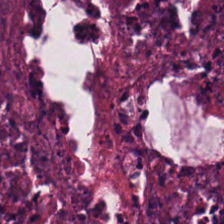0.5 microns per pixel. Hematoxylin-and-eosin stained section — The predominant tissue is debris.
